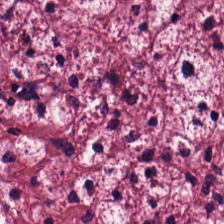Brightfield · H&E. Predominantly tumor-associated stroma.
